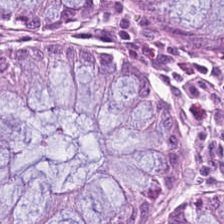20× equivalent magnification; H&E stain; 224×224 px tile — Predominantly benign colonic mucosa.
